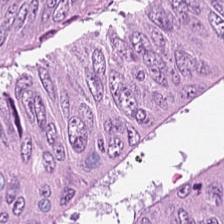H&E stain. Impression — adenocarcinoma.
